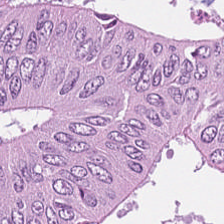Hematoxylin-and-eosin stained section. Impression — colorectal adenocarcinoma epithelium.
